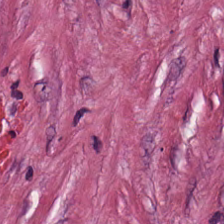Brightfield microscopy; H&E-stained tissue section; formalin-fixed paraffin-embedded section. The tissue type is tumor-associated stroma.
